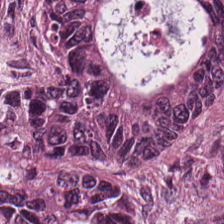The tissue is malignant epithelium.
